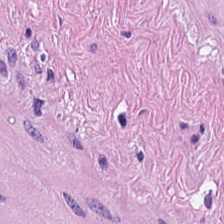224×224 px tile · hematoxylin and eosin — This patch shows smooth-muscle tissue.
